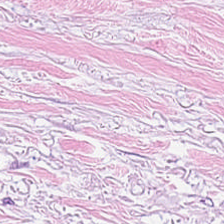Whole-slide-image patch. Hematoxylin-and-eosin stained section.
The classification is cancer-associated stroma.
